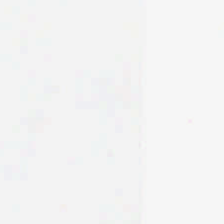Q: Classify this patch.
A: This is empty background.
